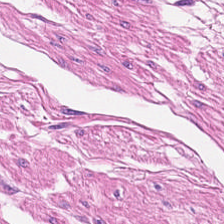H&E-stained tissue section — The predominant tissue is muscularis.
